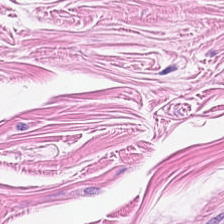H&E · 224×224 px tile.
Showing smooth muscle.
